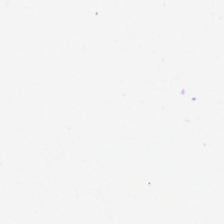H&E stain.
Background — no tissue in this field.
